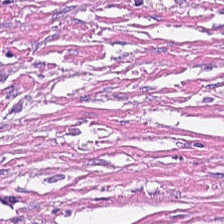Brightfield microscopy; FFPE tissue section; hematoxylin-and-eosin stained section — Showing tumor-associated stroma.
